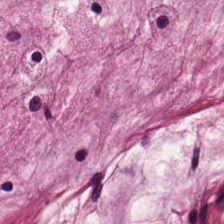H&E. Q: What is the predominant tissue type?
A: It is mucus.
